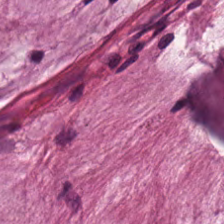H&E stain. 224×224 pixel tile. The tissue type is extracellular mucin.
